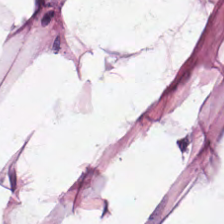Hematoxylin and eosin. 224×224 px tile — Adipose tissue.
